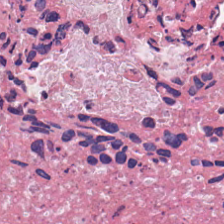Hematoxylin-and-eosin stained section — The predominant tissue is necrotic debris.
